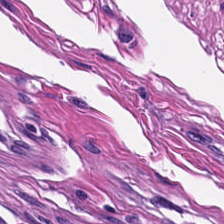FFPE tissue section; H&E.
Classification — muscularis.
